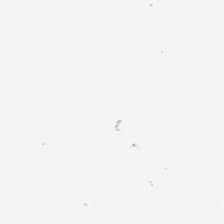Background (no tissue).
